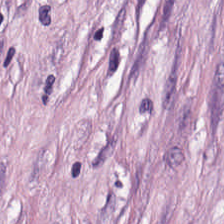Classification: tumor stroma.
